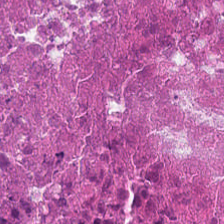FFPE. 224×224 px tile. Hematoxylin-and-eosin stained section.
The tissue type is necrotic debris.
